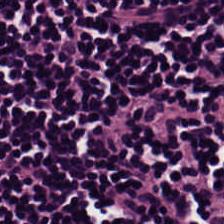Brightfield microscopy · 0.5 µm per pixel · hematoxylin-and-eosin stained section.
{"tissue_type": "lymphocytic infiltrate"}
